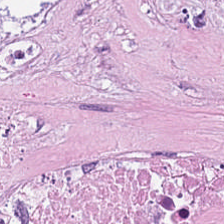Hematoxylin-and-eosin stained section · FFPE tissue section. Predominantly necrotic debris.
